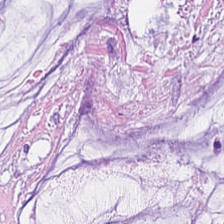Brightfield microscopy; H&E-stained tissue section. Q: Classify this patch.
A: This is mucin.
